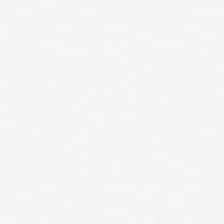H&E; WSI patch.
Histology — background (no tissue).
